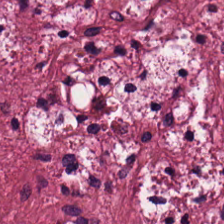H&E; 224×224 px tile — Q: What tissue type is shown here?
A: Cancer-associated stroma.
